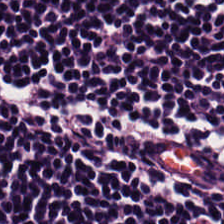0.5 µm/px · hematoxylin and eosin · 224×224 pixel tile. This field is lymphocytes.
